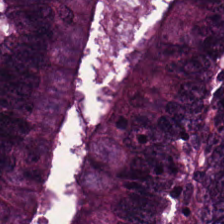H&E. The predominant tissue is colorectal adenocarcinoma epithelium.
